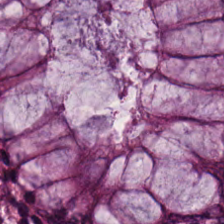The tissue here is benign colonic mucosa.
